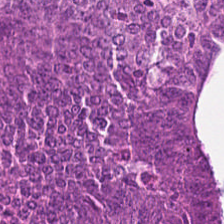Q: What type of tissue is this?
A: Malignant epithelium.
